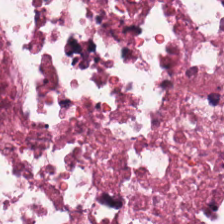H&E. This field is cellular debris.
